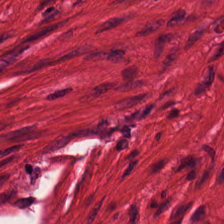Hematoxylin and eosin; 0.5 µm per pixel; WSI patch.
{"tissue_type": "smooth muscle"}
